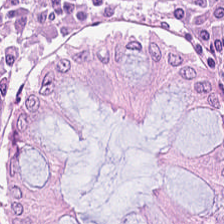H&E-stained tissue section. Predominant tissue — non-neoplastic colon mucosa.
